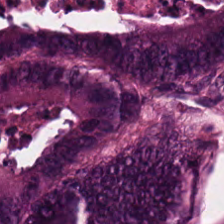Hematoxylin-and-eosin stained section.
{"tissue_type": "adenocarcinoma"}
